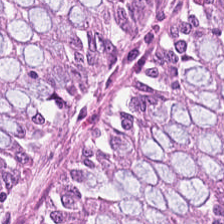H&E stain; whole-slide-image patch.
Tissue type: non-neoplastic colon mucosa.
